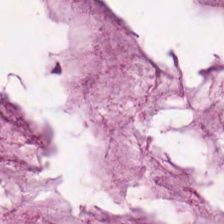Hematoxylin-and-eosin section: mucin.
